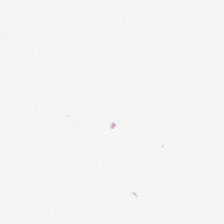H&E — {"content": "background (no tissue)"}
